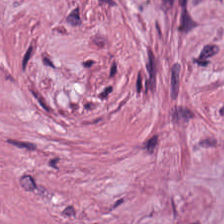H&E stain.
Tumor-associated stroma.
